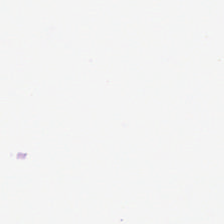Stain: hematoxylin and eosin.
Field content: background.
